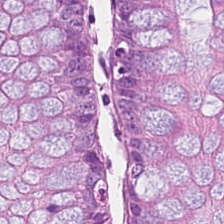Hematoxylin and eosin. The tissue here is non-neoplastic colon mucosa.
